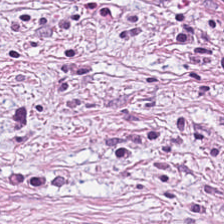0.5 µm per pixel. H&E stain.
Q: What type of tissue is this?
A: Desmoplastic stroma.
